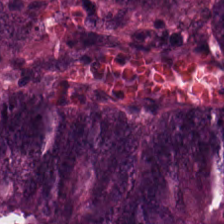FFPE. H&E-stained tissue section. 0.5 µm per pixel.
Impression — malignant epithelium.
